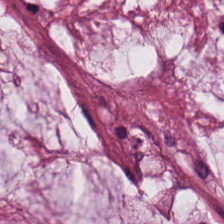The predominant tissue is mucin.
